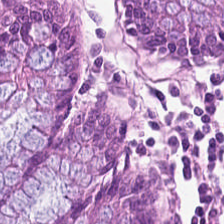Predominant tissue — normal colon mucosa.
